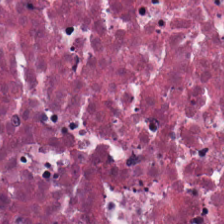Hematoxylin-and-eosin stained section · brightfield microscopy.
Q: What tissue is shown?
A: Necrotic debris.
